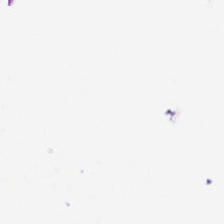Hematoxylin and eosin. {"content": "background (no tissue)"}
